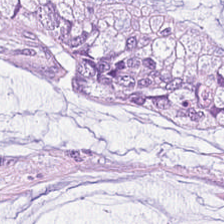H&E-stained tissue section. The tissue here is mucus.
